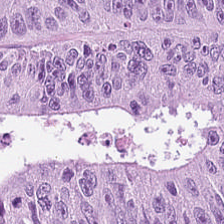H&E — This field is tumor epithelium.
